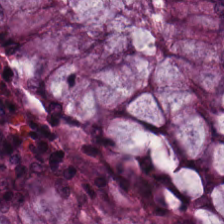H&E — The tissue here is normal colonic mucosa.
